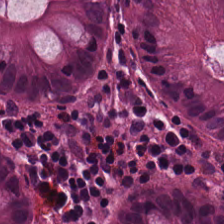Hematoxylin and eosin — Predominantly benign colonic mucosa.
